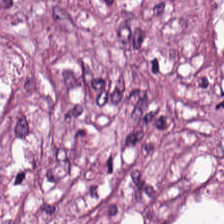H&E.
This patch shows tumor-associated stroma.
